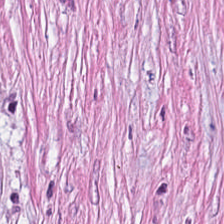0.5 µm per pixel. Hematoxylin-and-eosin stained section. FFPE.
{"tissue_type": "desmoplastic stroma"}
